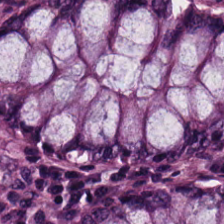H&E-stained tissue section.
Normal colon mucosa.
